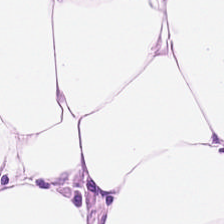H&E stain; formalin-fixed paraffin-embedded section. This patch shows fat tissue.
